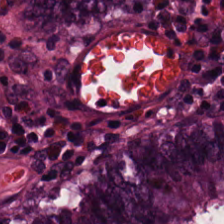Hematoxylin and eosin. Brightfield — Q: Classify this patch.
A: Normal colon mucosa.
